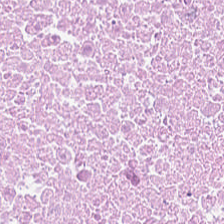0.5 µm/px. H&E-stained tissue section — This field is necrotic debris.
